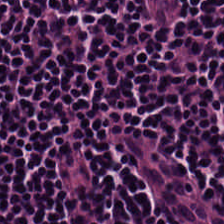H&E. FFPE tissue section.
Predominant tissue = lymphocyte aggregate.
